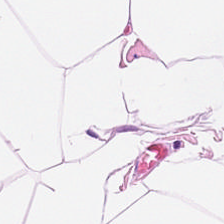Hematoxylin-and-eosin stained section; 20× equivalent magnification — The tissue here is adipose.
